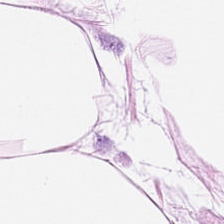H&E. 0.5 µm/px.
Histology — adipose tissue.
